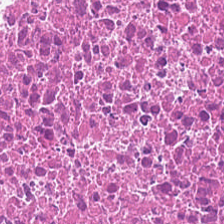Stain: H&E-stained tissue section.
Tissue: debris.
